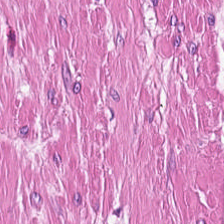H&E-stained section; the field shows smooth-muscle tissue.
